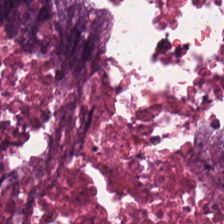Hematoxylin-and-eosin stained section. The tissue type is debris.
